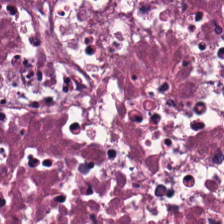H&E-stained tissue section. This field is debris.
